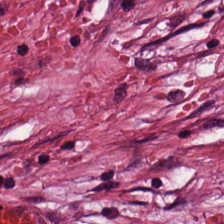0.5 µm/px; hematoxylin and eosin; brightfield. Q: What is shown in this field?
A: The field shows tumor-associated stroma.
